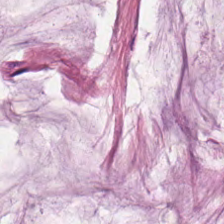0.5 microns per pixel · H&E stain — The tissue class is extracellular mucin.
